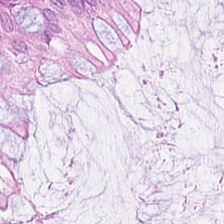This field is non-neoplastic colon mucosa.
